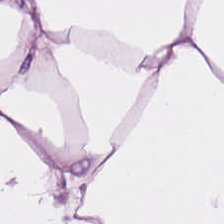Stain: H&E.
Tissue type: adipocytes.
